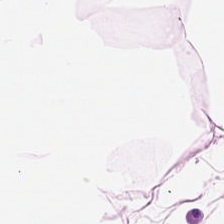Showing adipose tissue.
